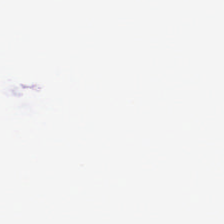Background — no tissue in this field.
